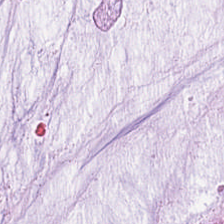FFPE; brightfield microscopy; H&E.
The tissue type is mucin.
